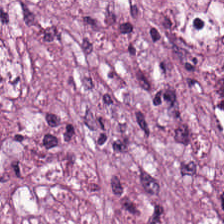224×224 px patch. 0.5 µm/px. H&E-stained tissue section — Q: Classify this patch.
A: This is cancer-associated stroma.
